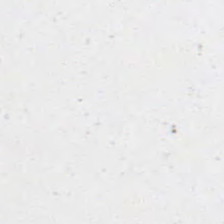H&E — Field content = empty background.
